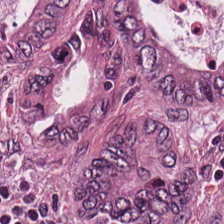Hematoxylin and eosin · formalin-fixed paraffin-embedded section. {"tissue_type": "adenocarcinoma"}
